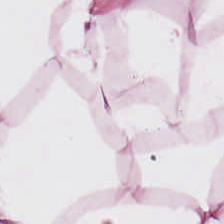H&E stain — This field is adipose tissue.
